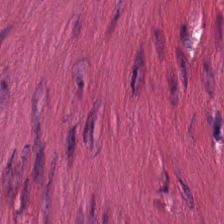FFPE. H&E stain. 0.5 µm/px. Showing smooth muscle.
